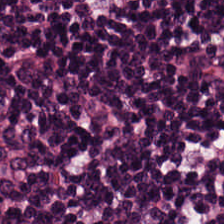H&E · 0.5 µm per pixel.
Predominant tissue: lymphoid infiltrate.
